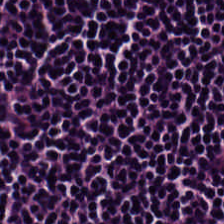20× equivalent magnification; hematoxylin and eosin; 224×224 px tile — Predominantly lymphoid infiltrate.
